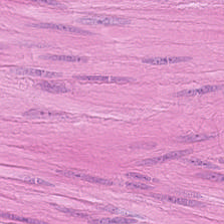Hematoxylin and eosin — Histology → muscularis.
